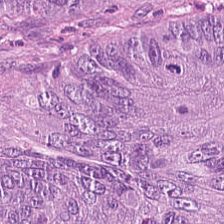H&E-stained tissue section. Formalin-fixed paraffin-embedded section. 20× equivalent magnification.
Q: What type of tissue is this?
A: This is malignant epithelium.
